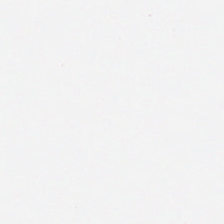Q: What does this patch show?
A: The field shows empty background.
